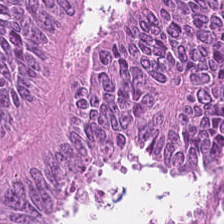224×224 px tile · H&E. Tissue class = malignant epithelium.
